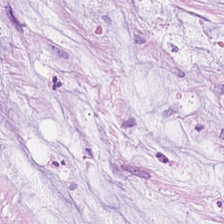Stain: hematoxylin-and-eosin stained section.
Tile size: 224×224 px patch.
Tissue: mucin.
